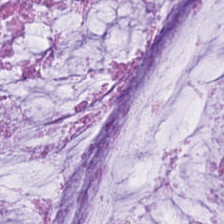H&E-stained tissue section; 0.5 µm per pixel; FFPE tissue section.
Mucin.
